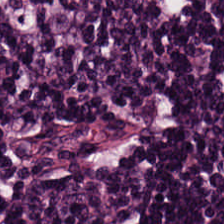H&E-stained tissue section.
Q: What is the predominant tissue type?
A: Lymphocyte aggregate.
